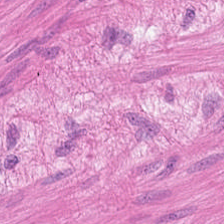Formalin-fixed paraffin-embedded section · hematoxylin-and-eosin stained section.
Tissue type — smooth-muscle tissue.
